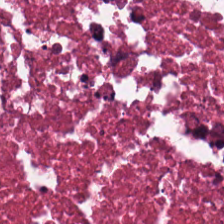Stain: hematoxylin and eosin.
Tissue type: debris.
